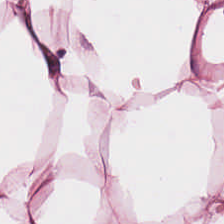FFPE tissue section. H&E — This field is adipose.
